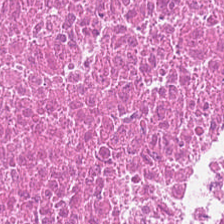H&E — Tissue — necrotic debris.
